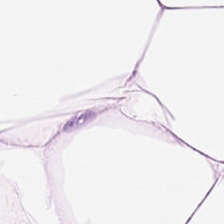224×224 px patch; hematoxylin-and-eosin stained section; FFPE.
This field is adipose tissue.
